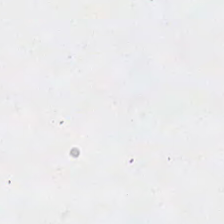Brightfield · H&E-stained tissue section — Q: What is shown in this field?
A: This is no tissue.
